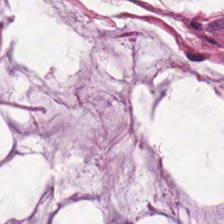Stain: hematoxylin and eosin.
Predominant tissue: extracellular mucin.
